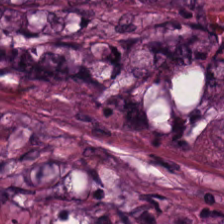FFPE tissue section. Hematoxylin-and-eosin stained section. 224×224 px patch. The classification is colorectal adenocarcinoma.
